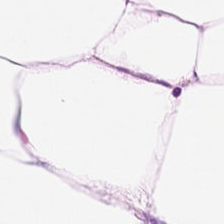H&E-stained tissue section.
Q: Classify this patch.
A: This is adipose tissue.
